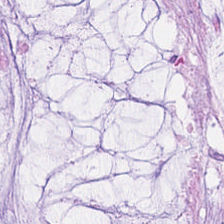20× equivalent magnification; H&E stain.
Tissue class: mucus.
